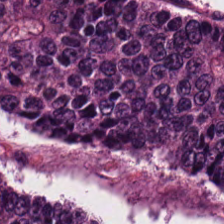Whole-slide-image patch · 224×224 px patch · H&E stain. This field is malignant epithelium.
